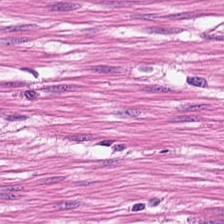Stain: hematoxylin-and-eosin stained section.
Tile size: 224×224 pixel tile.
Classification: smooth-muscle tissue.
